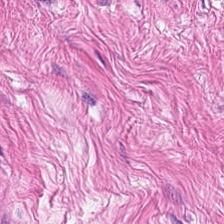Stain: H&E.
Predominant tissue: muscularis.
